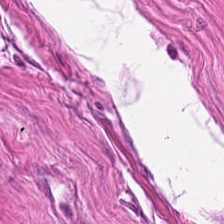Hematoxylin and eosin — Q: What is the predominant tissue type?
A: It is smooth muscle.
